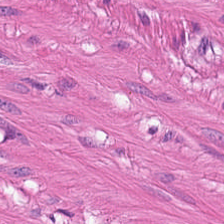H&E stain — {"tissue_type": "smooth-muscle tissue"}
